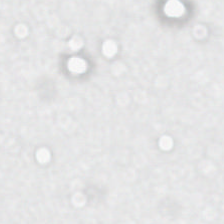Hematoxylin-and-eosin stained section; formalin-fixed paraffin-embedded section. Content — background.
